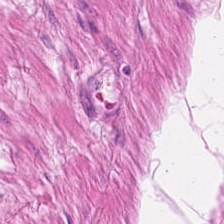H&E stain. Tissue type — smooth muscle.
